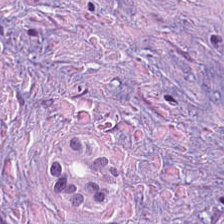H&E stain; 224×224 pixel tile.
Tissue type = tumor stroma.
